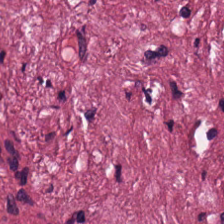Stain: H&E-stained tissue section.
Tile size: 224×224 pixel tile.
Resolution: 20× equivalent magnification.
Predominant tissue: tumor-associated stroma.
